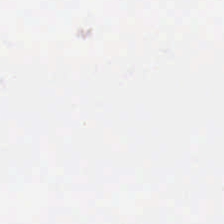H&E stain. Q: What is shown here?
A: The field shows no tissue.
